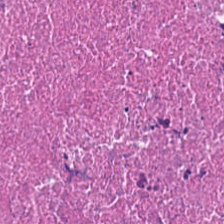Hematoxylin and eosin — Tissue type = debris.
